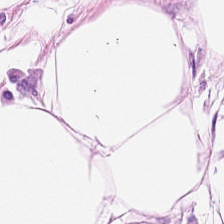{"tissue_type": "adipose"}
